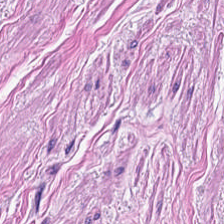Q: What is shown here?
A: It is muscularis.
